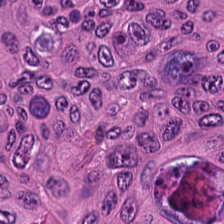Classification: adenocarcinoma.
